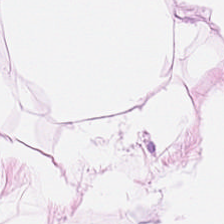Q: What is the predominant tissue type?
A: This is adipocytes.
